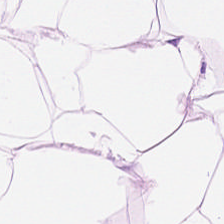Stain: H&E stain.
Acquisition: brightfield microscopy.
Predominant tissue: adipocytes.
